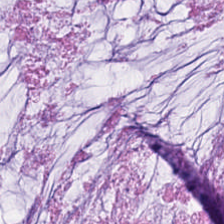Hematoxylin and eosin. Finding → mucin.
